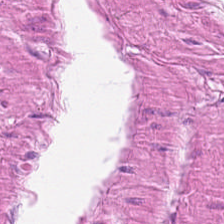Formalin-fixed paraffin-embedded section; H&E stain — Tissue class: smooth muscle.
